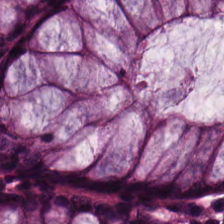H&E; FFPE tissue section — The classification is normal colon mucosa.
